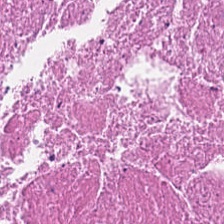H&E-stained tissue section showing necrotic debris.
